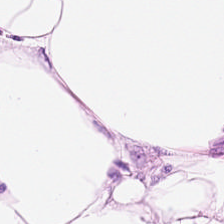H&E stain — Fat tissue.
